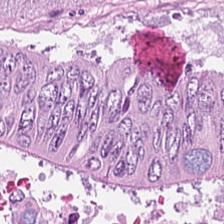Brightfield microscopy. H&E stain.
Predominant tissue: malignant epithelium.
